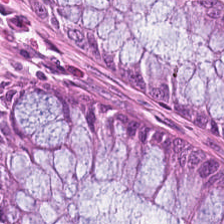Hematoxylin and eosin · 224×224 px tile — Tissue: benign colonic mucosa.
